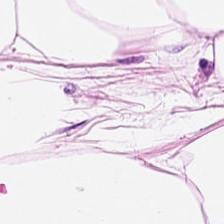20× equivalent magnification. H&E stain. 224×224 pixel tile — The tissue here is adipose.
